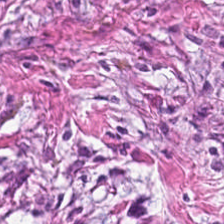Formalin-fixed paraffin-embedded section. H&E-stained tissue section — This patch shows cancer-associated stroma.
